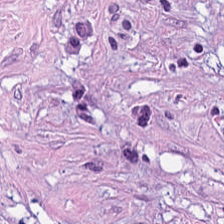0.5 µm per pixel · H&E-stained tissue section — Tumor stroma.
